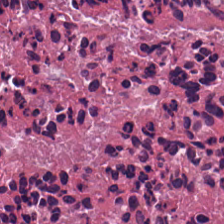Q: What does this patch show?
A: Cellular debris.
